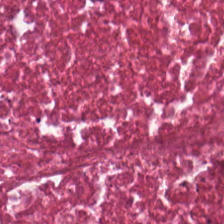Formalin-fixed paraffin-embedded section; 224×224 px tile; hematoxylin-and-eosin stained section — Necrotic debris.
